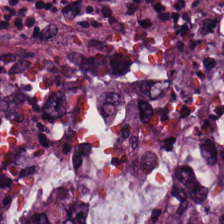Formalin-fixed paraffin-embedded section · hematoxylin and eosin.
Finding → colorectal adenocarcinoma.
